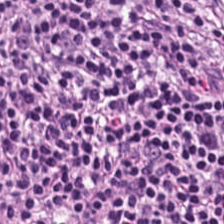FFPE. Hematoxylin and eosin. Tissue — lymphoid infiltrate.
